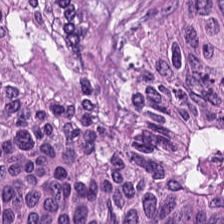Whole-slide-image patch · hematoxylin and eosin.
Showing adenocarcinoma.
